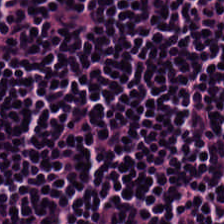FFPE tissue section. H&E-stained tissue section. 0.5 µm/px — Q: What is shown in this field?
A: Lymphocytes.
